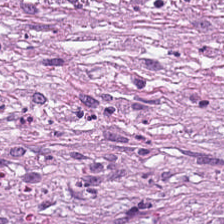Hematoxylin-and-eosin stained section.
Q: Identify the tissue.
A: The field shows tumor-associated stroma.
